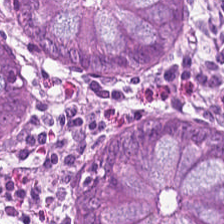224×224 px patch · H&E-stained tissue section. Tissue: benign colonic mucosa.
